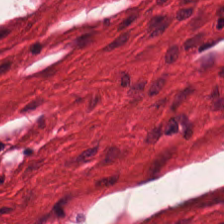Hematoxylin-and-eosin stained section — This field is muscularis.
